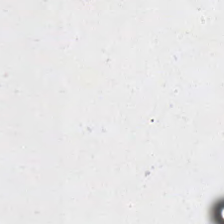H&E-stained tissue section; 0.5 µm per pixel.
Empty background.
